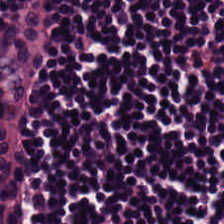224×224 px tile · H&E stain. Tissue type = lymphocyte aggregate.
